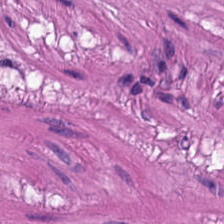Hematoxylin and eosin.
Showing smooth-muscle tissue.
